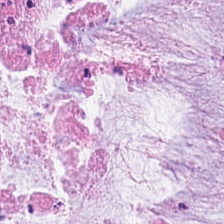Q: What is shown here?
A: Mucin.
